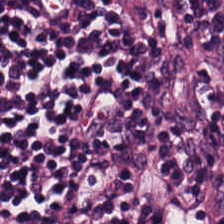Showing lymphocyte aggregate.
